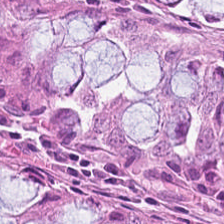Hematoxylin-and-eosin stained section.
Q: Identify the tissue.
A: Benign colonic mucosa.
